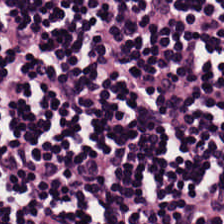H&E; formalin-fixed paraffin-embedded section.
Showing lymphoid infiltrate.
